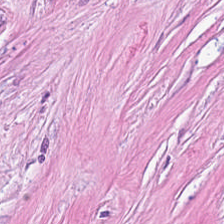224×224 px patch · H&E · formalin-fixed paraffin-embedded section.
Q: What is shown here?
A: This is tumor stroma.
